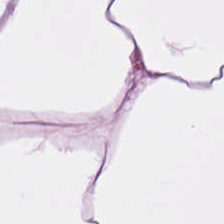Stain: H&E-stained tissue section.
Predominant tissue: adipose.
